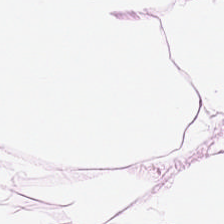Stain: H&E-stained tissue section.
Preparation: formalin-fixed paraffin-embedded section.
Tissue type: adipocytes.
